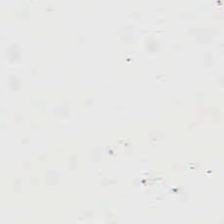Whole-slide-image patch. H&E-stained tissue section — Q: What is shown here?
A: It is empty background.
